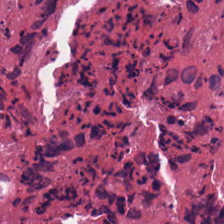H&E. Q: Classify this patch.
A: It is cellular debris.
